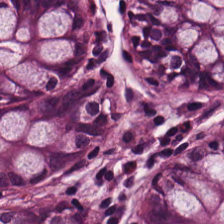The tissue here is normal colonic mucosa.
